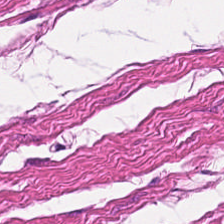Hematoxylin-and-eosin stained section. Brightfield microscopy.
Classification = smooth muscle.
